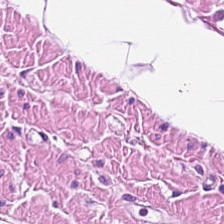Histology → smooth muscle.
